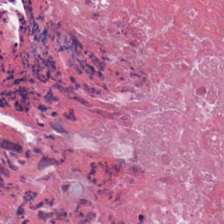Stain: H&E stain.
Predominant tissue: debris.
